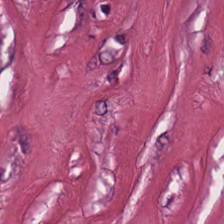Brightfield. H&E stain — Impression → tumor stroma.
